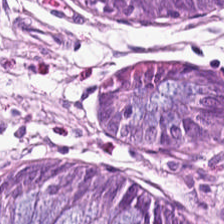Stain: H&E stain.
Classification: normal colon mucosa.
